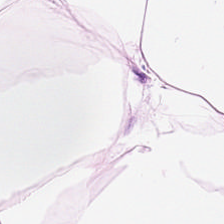H&E stain.
Predominant tissue — fat tissue.
